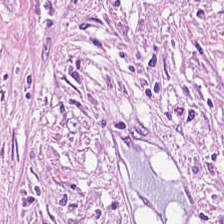Predominantly tumor stroma.
